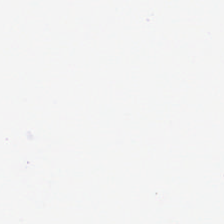Formalin-fixed paraffin-embedded section; H&E stain. Content — background.
